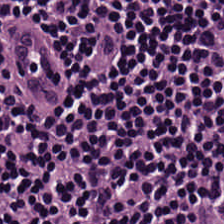Hematoxylin-and-eosin stained section — Tissue — lymphocytic infiltrate.
